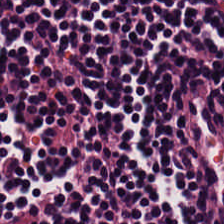Hematoxylin-and-eosin stained section. FFPE tissue section. Predominantly lymphocyte aggregate.
